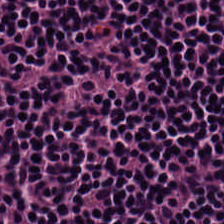Histology → lymphocytic infiltrate.
